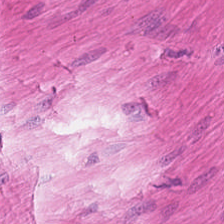Hematoxylin-and-eosin stained section · whole-slide-image patch.
Classification = muscularis.
